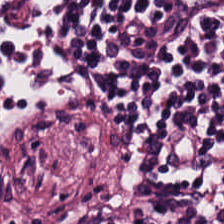Q: What is shown in this field?
A: This is lymphoid infiltrate.
